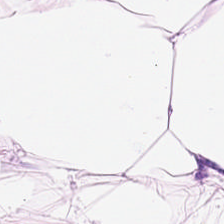The predominant tissue is adipocytes.
